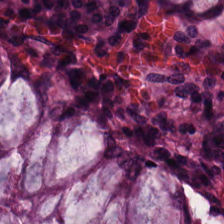Stain: H&E.
Tissue: benign colonic mucosa.
